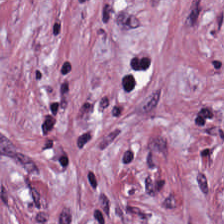Hematoxylin and eosin. Desmoplastic stroma.
